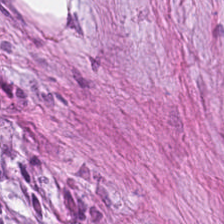H&E-stained section; the field shows tumor stroma.
